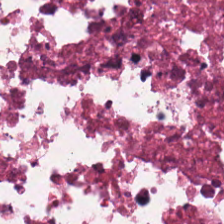H&E-stained tissue section. Tissue type: debris.
